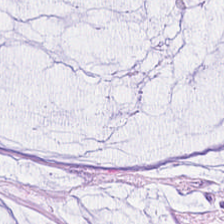H&E. Whole-slide-image patch. FFPE tissue section — Tissue type = mucus.
